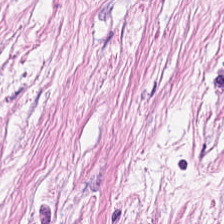Hematoxylin-and-eosin stained section · 0.5 µm/px · FFPE tissue section.
Desmoplastic stroma.
